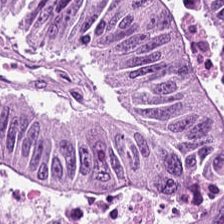The predominant tissue is tumor epithelium.
